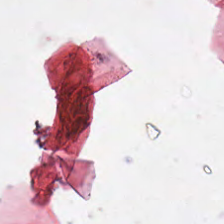H&E.
Empty background.
